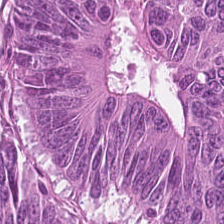Impression → adenocarcinoma.
